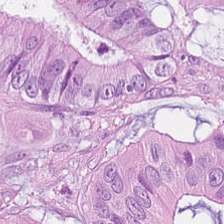H&E-stained tissue section.
Q: What is shown here?
A: It is colorectal adenocarcinoma epithelium.
